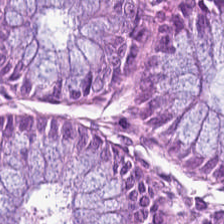Hematoxylin-and-eosin stained section.
Histology → benign colonic mucosa.
